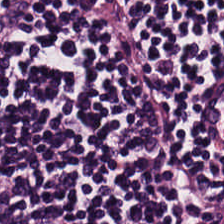Hematoxylin and eosin — The tissue here is lymphocyte aggregate.
